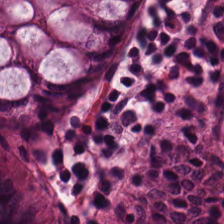Classification — normal colonic mucosa.
